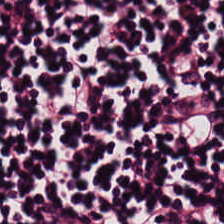Formalin-fixed paraffin-embedded section. H&E-stained tissue section. 224×224 pixel tile. This patch shows lymphocytic infiltrate.
